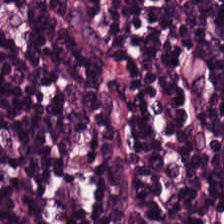H&E stain. Q: What tissue type is shown here?
A: Lymphocytic infiltrate.
